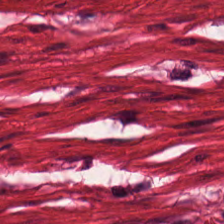Hematoxylin-and-eosin stained section — Finding — smooth-muscle tissue.
